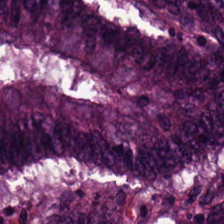Tissue class — adenocarcinoma.
